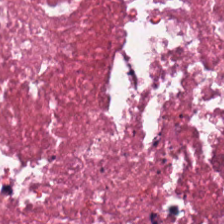Stain: hematoxylin and eosin.
Resolution: 20× equivalent magnification.
Tissue: necrotic debris.
